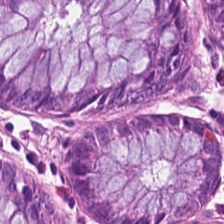Impression — normal colon mucosa.
